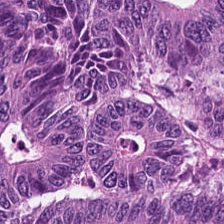Q: What is shown in this field?
A: The field shows adenocarcinoma.
